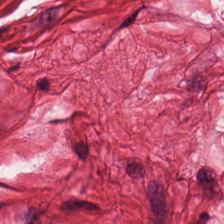Formalin-fixed paraffin-embedded section · H&E · 224×224 pixel tile — Q: What type of tissue is this?
A: It is muscularis.
